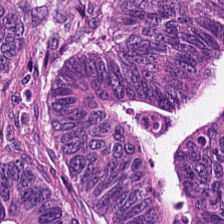H&E-stained tissue section. 224×224 px tile. 20× equivalent magnification. {"tissue_type": "adenocarcinoma"}
